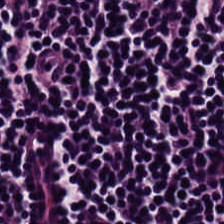Whole-slide-image patch; H&E. This field is lymphocytic infiltrate.
